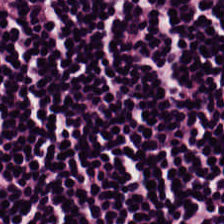H&E stain · 0.5 µm per pixel.
The tissue type is lymphocyte aggregate.
